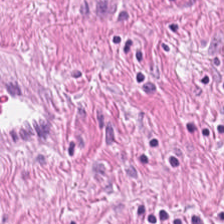{"tissue_type": "smooth muscle"}
